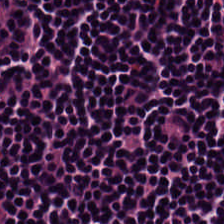H&E stain.
Tissue — lymphoid infiltrate.
